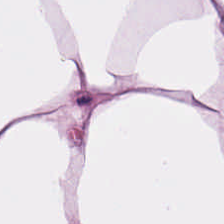Tissue type — adipose.
